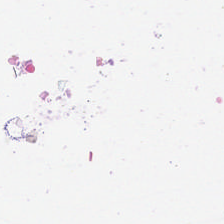No tissue present; background only.
